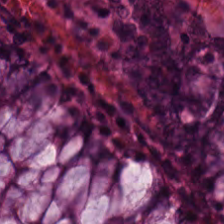Hematoxylin-and-eosin stained section · 224×224 pixel tile. Predominantly non-neoplastic colon mucosa.
